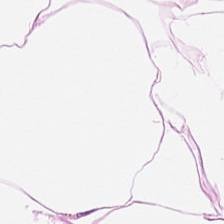H&E-stained tissue section. 224×224 px patch — Tissue — adipocytes.
